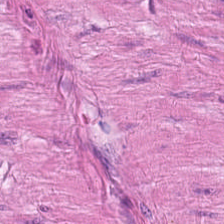H&E stain.
Q: Classify this patch.
A: This is smooth muscle.
